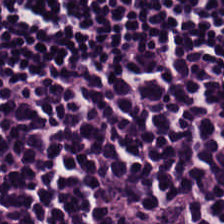H&E-stained tissue section. Q: What does this patch show?
A: This is lymphoid infiltrate.
